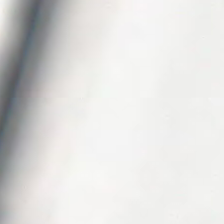H&E. This field is background (no tissue).
